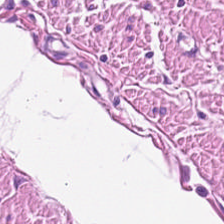Hematoxylin-and-eosin stained section; 224×224 px patch; FFPE tissue section — Q: What is the predominant tissue type?
A: This is smooth muscle.
